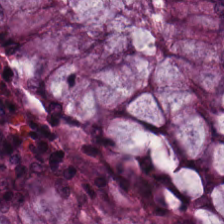H&E stain — Impression — normal colon mucosa.
